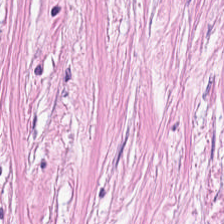Hematoxylin-and-eosin stained section.
Tissue class = tumor stroma.
